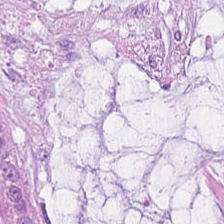H&E stain — The tissue is mucin.
